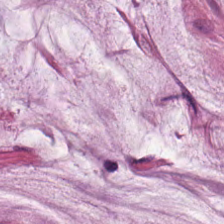H&E stain — Showing mucus.
